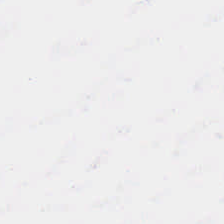H&E-stained tissue section; 224×224 pixel tile — Q: What does this patch show?
A: Empty background.
